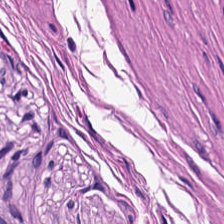FFPE; 0.5 µm/px; hematoxylin and eosin — The predominant tissue is muscularis.
